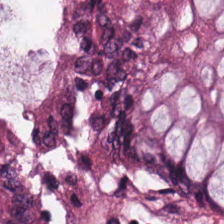Hematoxylin-and-eosin stained section.
Q: What does this patch show?
A: The field shows benign colonic mucosa.
